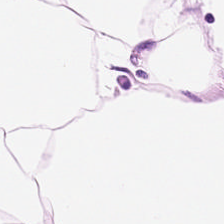Q: What tissue is shown?
A: This is adipose tissue.
